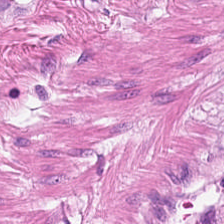Stain: H&E.
Tissue type: smooth muscle.
